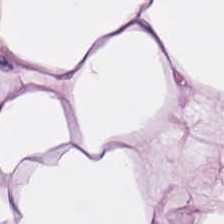Hematoxylin-and-eosin stained section · whole-slide-image patch — Predominant tissue: adipose tissue.
